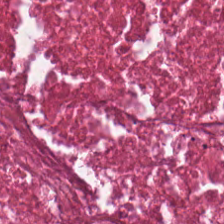Showing debris.
